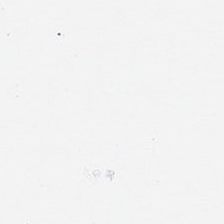Stain: hematoxylin-and-eosin stained section.
Tile size: 224×224 px tile.
Field content: no tissue.
